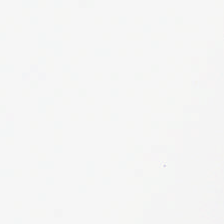WSI patch · 224×224 px tile · H&E-stained tissue section.
Finding — empty background.
